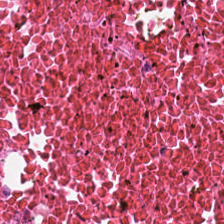Hematoxylin and eosin. 224×224 px tile — Predominantly necrotic debris.
